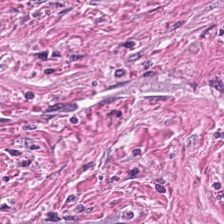Stain: hematoxylin and eosin.
Resolution: 0.5 microns per pixel.
Tissue class: cancer-associated stroma.
